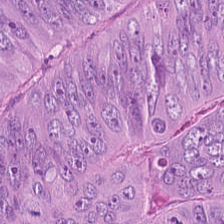WSI patch. Hematoxylin and eosin. The tissue is adenocarcinoma.
